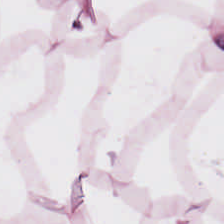Hematoxylin-and-eosin stained section — Predominantly adipocytes.
